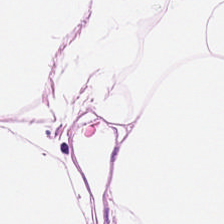Brightfield microscopy · hematoxylin-and-eosin stained section. The predominant tissue is adipocytes.
